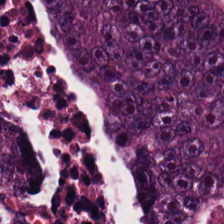H&E-stained tissue section — Histology — adenocarcinoma.
